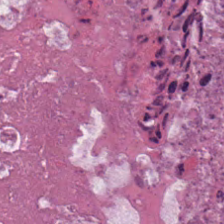Hematoxylin and eosin. Tissue type: debris.
